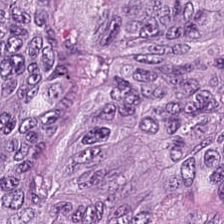H&E stain; 20× equivalent magnification — This patch shows colorectal adenocarcinoma epithelium.
